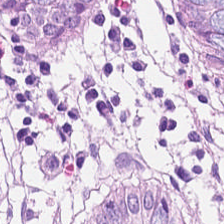Stain: H&E-stained tissue section.
Preparation: FFPE.
Resolution: 0.5 µm/px.
Tissue class: benign colonic mucosa.
